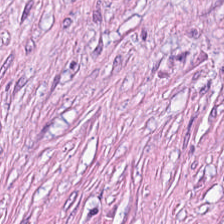H&E. Tissue type — cancer-associated stroma.
